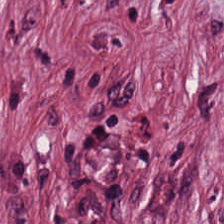FFPE. 224×224 px patch. H&E. The tissue is tumor-associated stroma.
